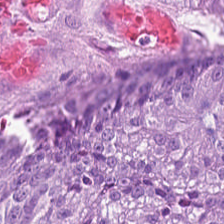Formalin-fixed paraffin-embedded section. H&E stain. Tissue class = colorectal adenocarcinoma epithelium.
